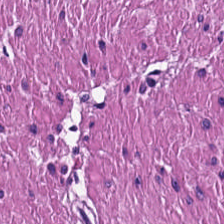Hematoxylin-and-eosin stained section. Formalin-fixed paraffin-embedded section.
Tissue class — smooth muscle.
